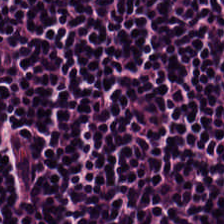Hematoxylin-and-eosin stained section. Formalin-fixed paraffin-embedded section — The tissue here is lymphocytic infiltrate.
